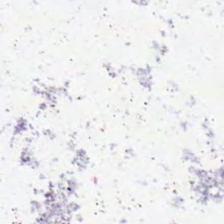Hematoxylin and eosin. Content: no tissue.
